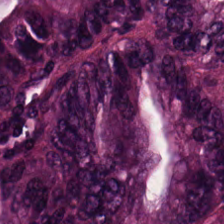Hematoxylin-and-eosin stained section. Whole-slide-image patch. The tissue class is colorectal adenocarcinoma.
